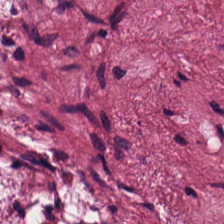{"tissue_type": "tumor-associated stroma"}
